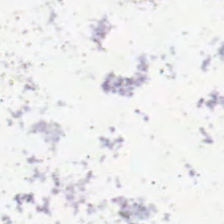FFPE. 224×224 px tile. Hematoxylin and eosin.
{"content": "background"}
